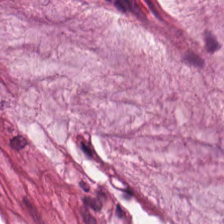H&E. Formalin-fixed paraffin-embedded section.
Tissue class — mucin.
